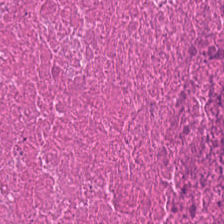Stain: H&E stain.
Tissue: cellular debris.
